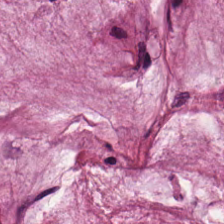Hematoxylin and eosin · whole-slide-image patch.
Impression → mucus.
